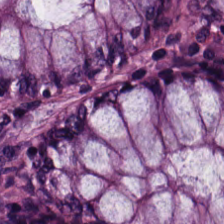Predominant tissue: normal colonic mucosa.
